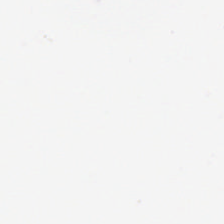Hematoxylin and eosin; whole-slide-image patch; 224×224 px patch.
Empty field — empty background.
